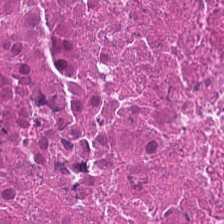H&E-stained tissue section — Predominantly debris.
